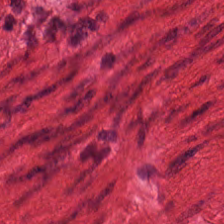H&E-stained tissue section — Q: What tissue is shown?
A: This is smooth-muscle tissue.
